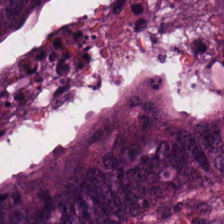Hematoxylin and eosin — This field is colorectal adenocarcinoma epithelium.
